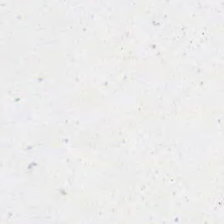H&E-stained tissue section.
{"content": "background (no tissue)"}
